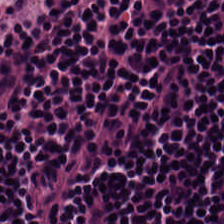Whole-slide-image patch; FFPE tissue section; hematoxylin and eosin.
Impression — lymphocytic infiltrate.
